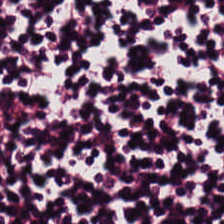H&E-stained tissue section.
This field is lymphocytic infiltrate.
